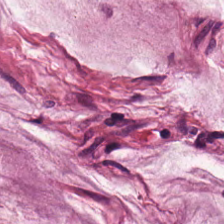H&E.
Predominant tissue — mucus.
